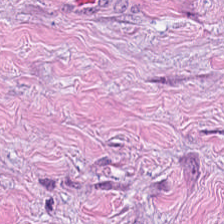20× equivalent magnification; FFPE tissue section; H&E-stained tissue section — Predominantly tumor stroma.
